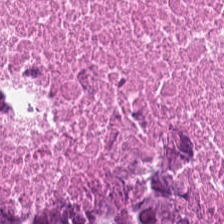H&E stain.
This patch shows debris.
